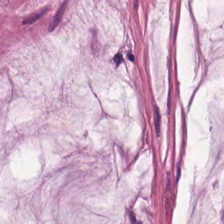H&E. 224×224 px tile. Showing extracellular mucin.
